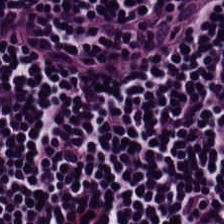0.5 microns per pixel · hematoxylin and eosin — Showing lymphocyte aggregate.
